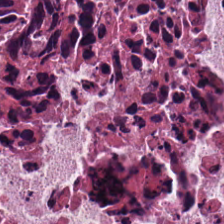0.5 µm/px. Brightfield. H&E.
Histology — debris.
